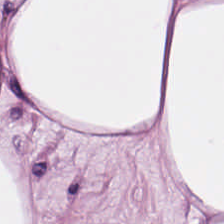20× equivalent magnification. H&E stain. Whole-slide-image patch.
Predominant tissue — adipocytes.
